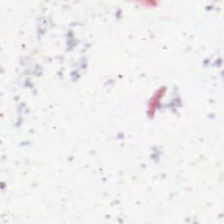H&E stain. This patch shows background (no tissue).
